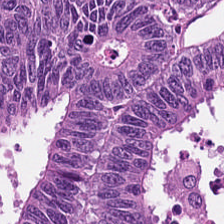H&E stain — Tissue class = tumor epithelium.
